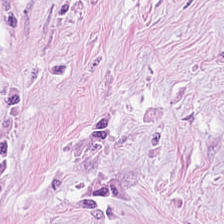Brightfield. FFPE tissue section. Hematoxylin-and-eosin stained section. Impression — tumor-associated stroma.
